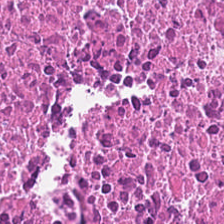Stain: H&E stain.
Tile size: 224×224 pixel tile.
Acquisition: brightfield.
Predominant tissue: debris.
